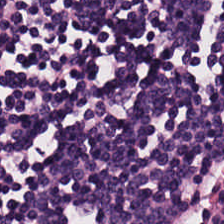Hematoxylin-and-eosin stained section — The tissue here is lymphocytes.
